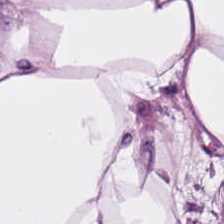H&E stain. Q: What is shown in this field?
A: Adipose.
